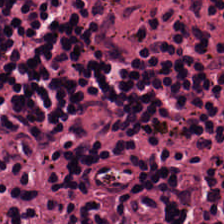H&E stain — Tissue type: lymphoid infiltrate.
